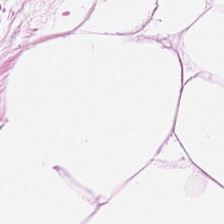Stain: H&E.
Tile size: 224×224 pixel tile.
Preparation: FFPE tissue section.
Tissue: adipocytes.
